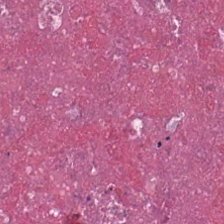0.5 microns per pixel · H&E.
Finding → debris.
